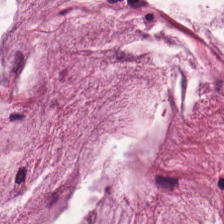The tissue here is mucin.
